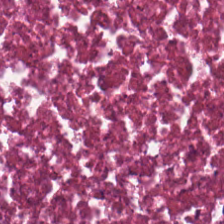H&E-stained tissue section showing necrotic debris.
